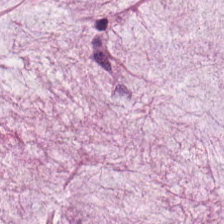Tissue type: extracellular mucin.
